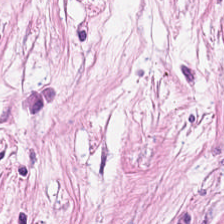H&E. WSI patch. Predominant tissue — tumor stroma.
